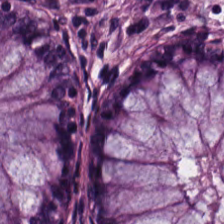Formalin-fixed paraffin-embedded section; hematoxylin and eosin — Tissue class — benign colonic mucosa.
